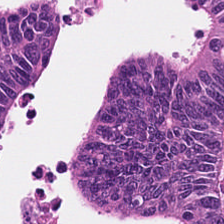H&E. This field is colorectal adenocarcinoma epithelium.
